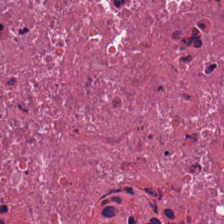Hematoxylin and eosin — Finding — debris.
